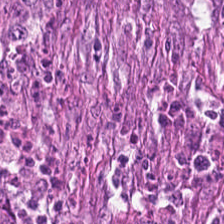Q: What is shown here?
A: This is malignant epithelium.
